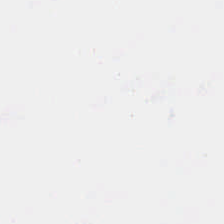Hematoxylin and eosin — Q: What is shown here?
A: Background.
